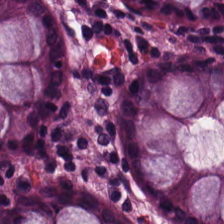FFPE; H&E stain; whole-slide-image patch — Tissue = normal colon mucosa.
